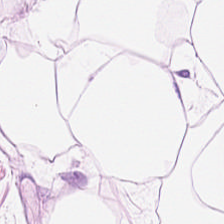FFPE · hematoxylin and eosin — Predominantly adipose tissue.
